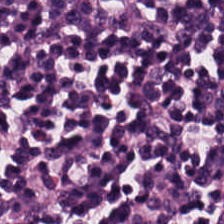H&E-stained tissue section — Q: Identify the tissue.
A: This is lymphocytic infiltrate.
